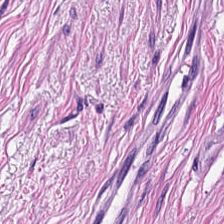Stain: H&E stain.
Resolution: 0.5 µm per pixel.
Preparation: FFPE.
Classification: smooth-muscle tissue.
